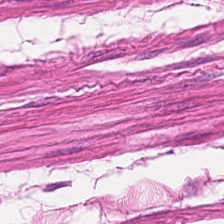FFPE tissue section. 224×224 px tile. Hematoxylin and eosin. {"tissue_type": "muscularis"}
